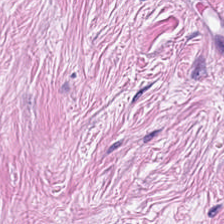Formalin-fixed paraffin-embedded section; H&E — Predominantly desmoplastic stroma.
